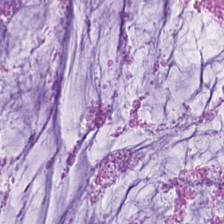Hematoxylin and eosin.
Q: Classify this patch.
A: It is extracellular mucin.
